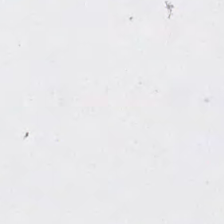H&E-stained tissue section; whole-slide-image patch.
No tissue present; background only.
